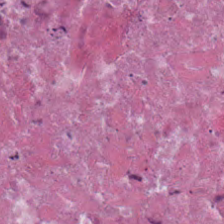H&E-stained tissue section. Showing debris.
